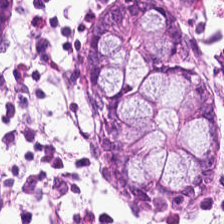Finding — benign colonic mucosa.
